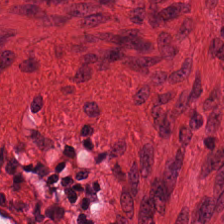Histology → smooth muscle.
